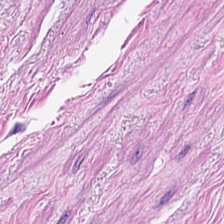H&E-stained tissue section. Impression — muscularis.
